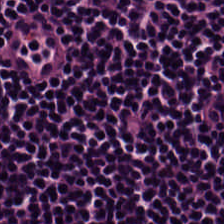H&E-stained tissue section. Formalin-fixed paraffin-embedded section — This field is lymphocyte aggregate.
